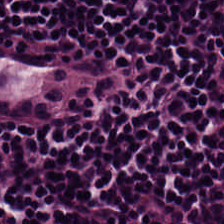0.5 microns per pixel; H&E stain.
The tissue here is lymphocytes.
